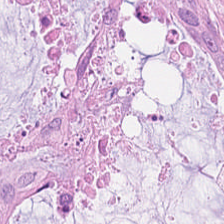Hematoxylin-and-eosin stained section · 0.5 µm per pixel.
Tumor epithelium.
